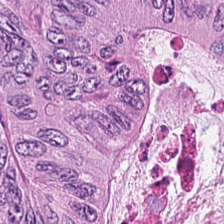H&E stain.
The tissue is adenocarcinoma.
